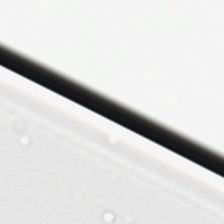Stain: H&E.
Content: empty background.
